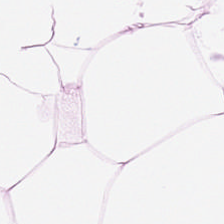H&E-stained tissue section · brightfield · 0.5 µm/px. Tissue class — adipose tissue.
